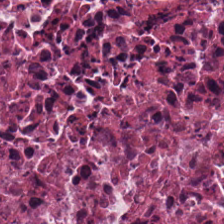Hematoxylin and eosin — The tissue is necrotic debris.
